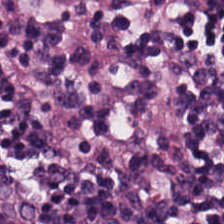FFPE tissue section; hematoxylin and eosin; WSI patch.
Q: What tissue type is shown here?
A: This is lymphocyte aggregate.
